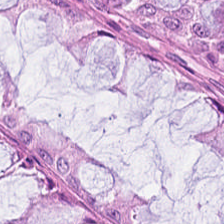224×224 px patch · brightfield · H&E stain — Q: What tissue type is shown here?
A: It is normal colon mucosa.
